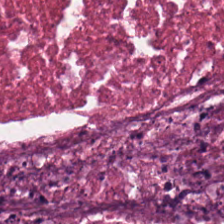Showing cellular debris.
